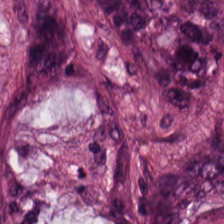H&E stain. Q: Identify the tissue.
A: The field shows colorectal adenocarcinoma epithelium.
